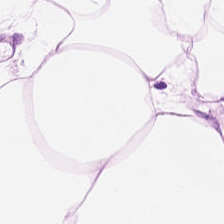H&E stain · 20× equivalent magnification · WSI patch — Showing fat tissue.
